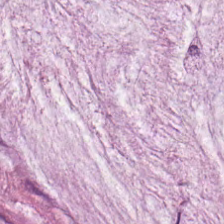Tissue type — extracellular mucin.
